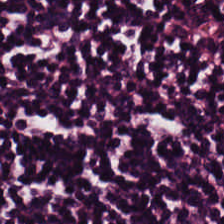Hematoxylin and eosin — Predominantly lymphocyte aggregate.
